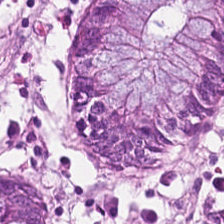224×224 pixel tile. H&E. Q: Identify the tissue.
A: It is normal colonic mucosa.
